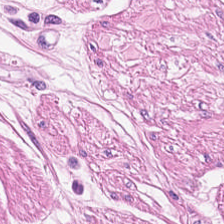H&E-stained section; the field shows smooth-muscle tissue.
